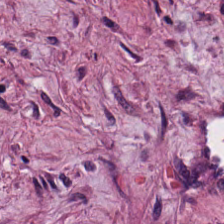Q: What tissue type is shown here?
A: It is desmoplastic stroma.
